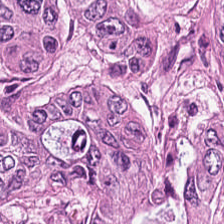Whole-slide-image patch · 224×224 pixel tile · H&E-stained tissue section.
Tissue type: adenocarcinoma.
